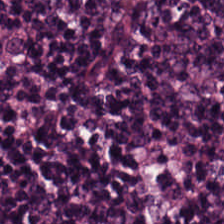Lymphoid infiltrate.
